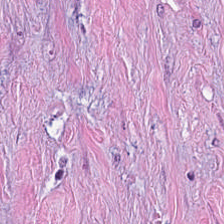Classification: cancer-associated stroma.
